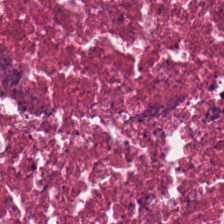Cellular debris.
